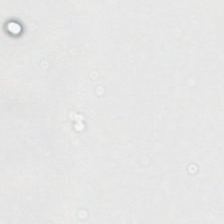H&E. WSI patch. Classification — background (no tissue).
